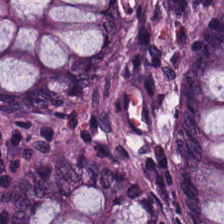H&E-stained tissue section. FFPE. Normal colonic mucosa.
